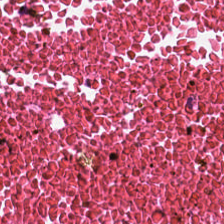Hematoxylin-and-eosin section: necrotic debris.
